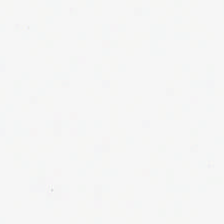Stain: hematoxylin-and-eosin stained section.
Tile size: 224×224 px tile.
Field content: no tissue.
